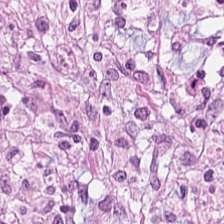Hematoxylin-and-eosin stained section — Tissue class = desmoplastic stroma.
